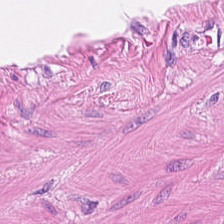Hematoxylin-and-eosin stained section.
This field is smooth muscle.
